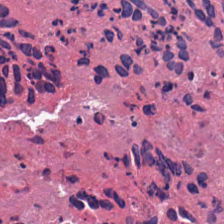H&E — Q: Identify the tissue.
A: This is debris.
